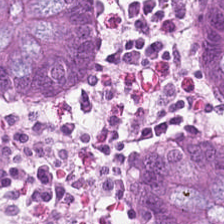H&E stain; FFPE tissue section. The predominant tissue is non-neoplastic colon mucosa.
